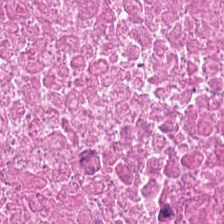Brightfield · 20× equivalent magnification · H&E-stained tissue section — {"tissue_type": "necrotic debris"}
